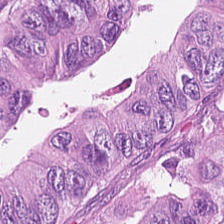H&E. The predominant tissue is adenocarcinoma.
